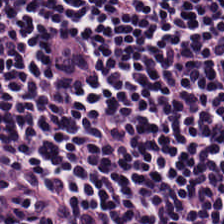Hematoxylin-and-eosin stained section; 224×224 px patch; 0.5 microns per pixel. Lymphocytes.
